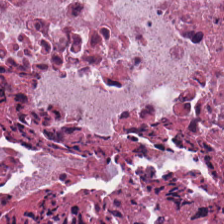H&E-stained tissue section. 224×224 px patch. This field is cellular debris.
